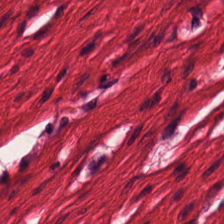H&E stain. FFPE. 0.5 µm per pixel — Q: What is the predominant tissue type?
A: It is smooth muscle.
